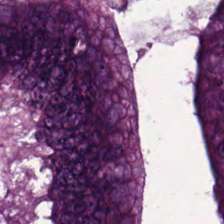H&E stain; FFPE. Showing malignant epithelium.
